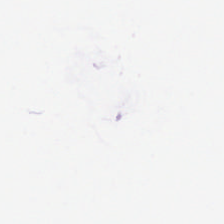Empty background.
